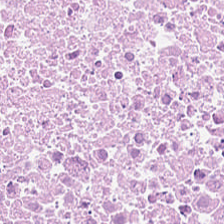H&E-stained tissue section; whole-slide-image patch — The predominant tissue is cellular debris.
